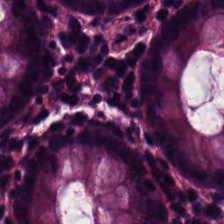FFPE; H&E stain.
The tissue is non-neoplastic colon mucosa.
